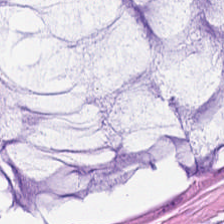Hematoxylin-and-eosin stained section; 0.5 µm/px; 224×224 pixel tile.
Q: Identify the tissue.
A: Extracellular mucin.
